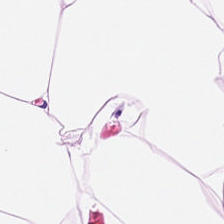Hematoxylin-and-eosin stained section · 0.5 µm/px. Q: What tissue type is shown here?
A: Fat tissue.
